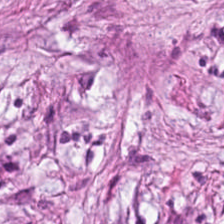{"tissue_type": "tumor-associated stroma"}
